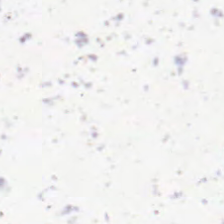This field is background (no tissue).
